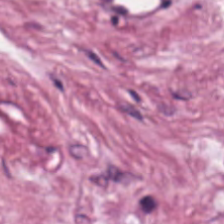Hematoxylin-and-eosin stained section. Q: What type of tissue is this?
A: The field shows cancer-associated stroma.
